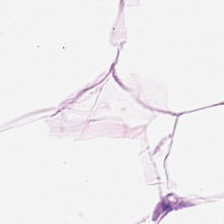Hematoxylin-and-eosin stained section — This patch shows adipose tissue.
